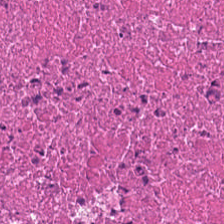Brightfield microscopy · hematoxylin and eosin · formalin-fixed paraffin-embedded section. {"tissue_type": "necrotic debris"}
